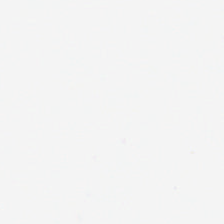FFPE; H&E-stained tissue section. Empty field — background.
